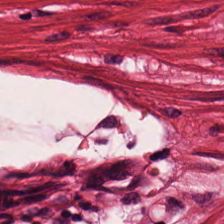Hematoxylin-and-eosin section: muscularis.
